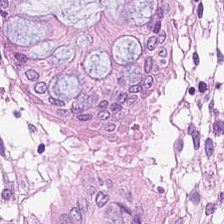H&E stain — The predominant tissue is normal colon mucosa.
